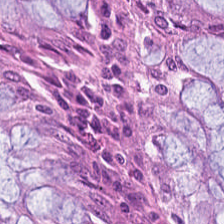H&E; 224×224 pixel tile — Showing benign colonic mucosa.
